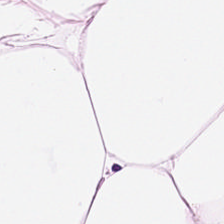Classification — fat tissue.
